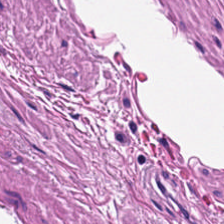H&E-stained tissue section. The predominant tissue is muscularis.
